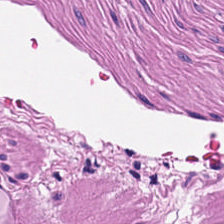Hematoxylin-and-eosin stained section. Predominantly smooth-muscle tissue.
